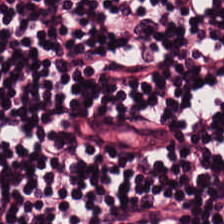0.5 microns per pixel; H&E stain; FFPE tissue section — Q: What type of tissue is this?
A: The field shows lymphocytes.
